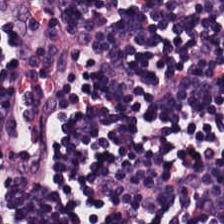Hematoxylin-and-eosin stained section — Predominantly lymphocytic infiltrate.
